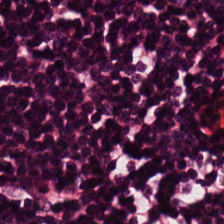Hematoxylin and eosin.
Tissue type: lymphocyte aggregate.
